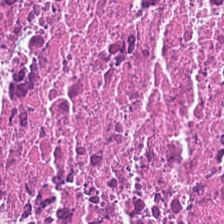224×224 px patch. 0.5 µm per pixel. H&E-stained tissue section. Tissue: necrotic debris.
